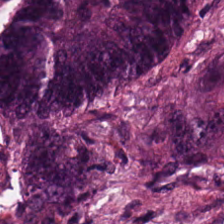FFPE. Hematoxylin-and-eosin stained section. This patch shows malignant epithelium.
